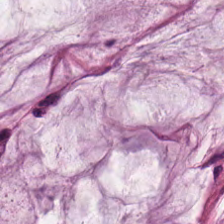Q: What tissue is shown?
A: This is mucus.
